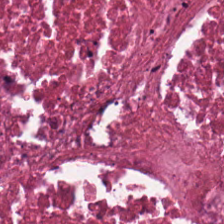Hematoxylin and eosin; 0.5 microns per pixel. The tissue is debris.
